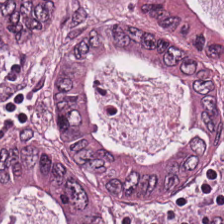Q: What tissue type is shown here?
A: It is colorectal adenocarcinoma epithelium.
